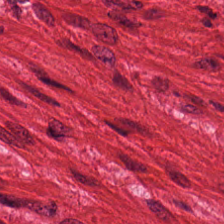Hematoxylin and eosin; whole-slide-image patch; FFPE — The predominant tissue is muscularis.
